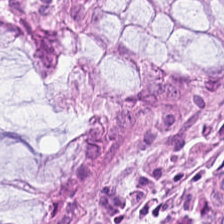Hematoxylin and eosin. Normal colonic mucosa.
